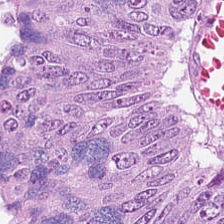Tissue class: tumor epithelium.
